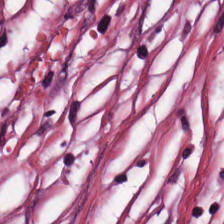H&E stain. Predominantly tumor stroma.
